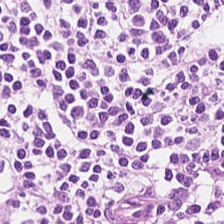Q: What tissue is shown?
A: Lymphocyte aggregate.
